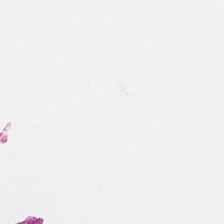No tissue.
